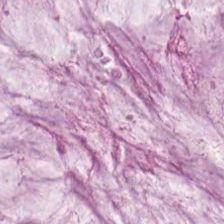Brightfield · H&E stain · 224×224 px patch. The tissue is extracellular mucin.
